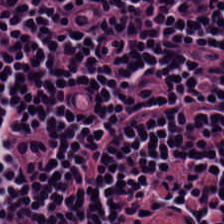Stain: H&E.
Classification: lymphocyte aggregate.
